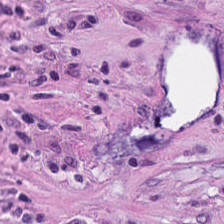224×224 px patch. Hematoxylin and eosin. Q: What tissue is shown?
A: It is cancer-associated stroma.
